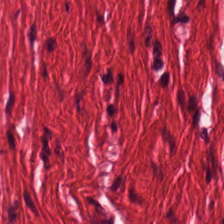Histology → muscularis.
